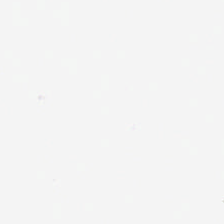Hematoxylin-and-eosin stained section — Content: empty background.
